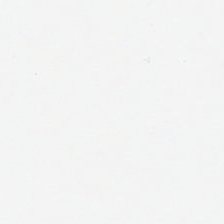H&E; FFPE tissue section. This patch shows no tissue.
